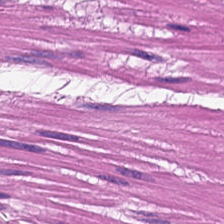Finding — smooth-muscle tissue.
